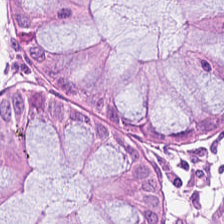H&E-stained tissue section. This field is non-neoplastic colon mucosa.
